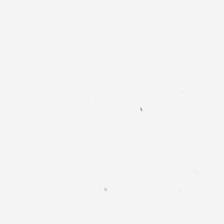This patch shows background (no tissue).
